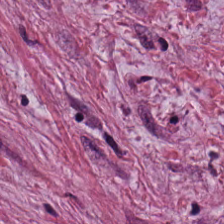H&E patch showing tumor stroma.
